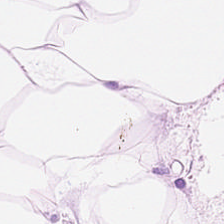Hematoxylin and eosin.
Finding → adipose tissue.
